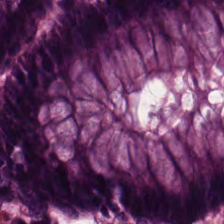Brightfield. H&E. 0.5 µm/px.
Non-neoplastic colon mucosa.
